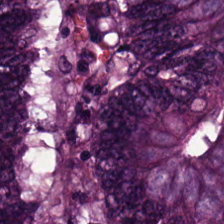224×224 px tile · H&E-stained tissue section. The tissue is malignant epithelium.
